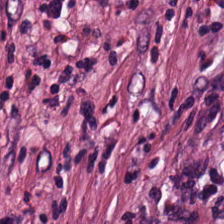This patch shows cancer-associated stroma.
